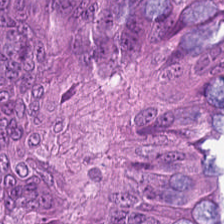H&E · formalin-fixed paraffin-embedded section.
The tissue here is colorectal adenocarcinoma epithelium.
